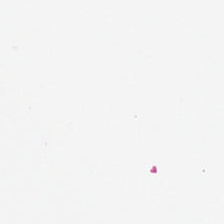Stain: H&E.
Resolution: 0.5 µm per pixel.
Classification: background.
